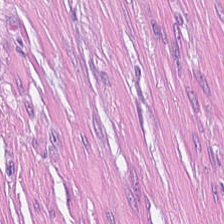224×224 px patch; hematoxylin-and-eosin stained section — Q: What tissue type is shown here?
A: Cancer-associated stroma.
